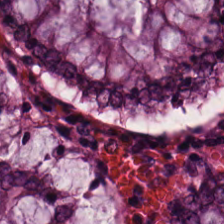H&E. Tissue type: non-neoplastic colon mucosa.
